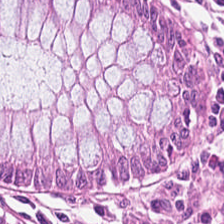Tissue: normal colon mucosa.
